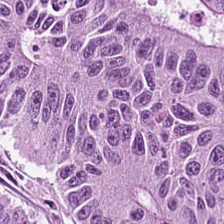This patch shows colorectal adenocarcinoma epithelium.
